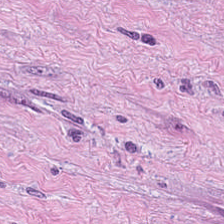Stain: hematoxylin-and-eosin stained section.
Acquisition: whole-slide-image patch.
Resolution: 0.5 µm/px.
Tissue type: tumor-associated stroma.
